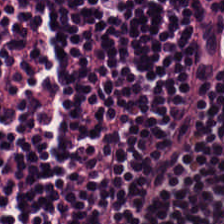Q: What is the predominant tissue type?
A: Lymphocytes.
